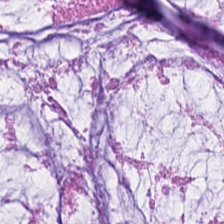H&E stain.
The tissue class is mucus.
